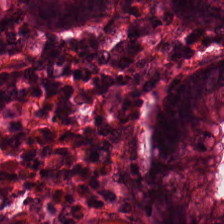Q: Classify this patch.
A: It is non-neoplastic colon mucosa.
